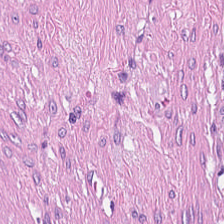This patch shows tumor-associated stroma.
